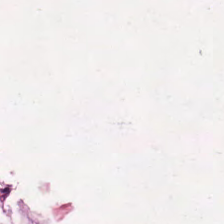Hematoxylin and eosin — The tissue here is mucin.
